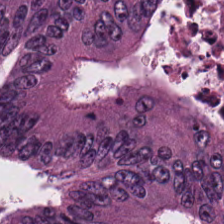FFPE tissue section; hematoxylin-and-eosin stained section — Finding → colorectal adenocarcinoma epithelium.
